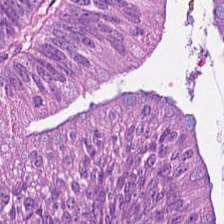Hematoxylin-and-eosin stained section — The tissue here is malignant epithelium.
